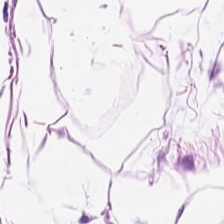Stain: hematoxylin-and-eosin stained section.
Tissue: adipose.
